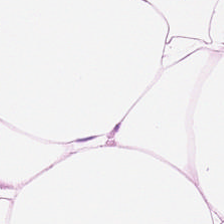Hematoxylin and eosin.
Q: What is shown in this field?
A: It is adipocytes.
